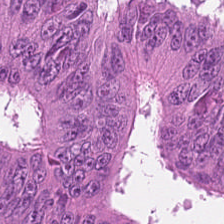H&E — Tissue = colorectal adenocarcinoma epithelium.
